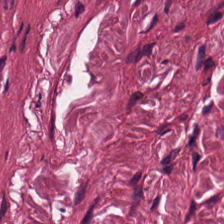Stain: hematoxylin-and-eosin stained section.
Preparation: FFPE.
Tile size: 224×224 px tile.
Predominant tissue: desmoplastic stroma.
